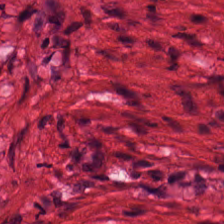Hematoxylin and eosin.
Q: What is shown in this field?
A: The field shows smooth-muscle tissue.
